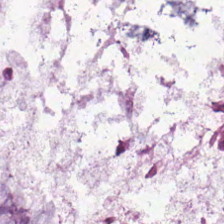Hematoxylin-and-eosin stained section. The predominant tissue is mucin.
